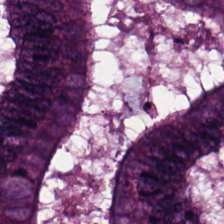Hematoxylin-and-eosin stained section.
Predominantly colorectal adenocarcinoma epithelium.
